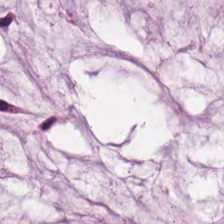Hematoxylin-and-eosin stained section — This patch shows mucus.
